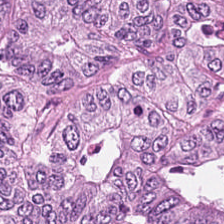H&E stain.
Q: What tissue is shown?
A: It is adenocarcinoma.
